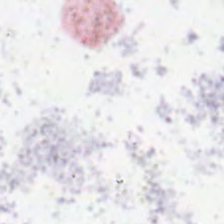H&E stain. Content = background (no tissue).
